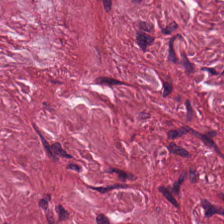Formalin-fixed paraffin-embedded section; 0.5 µm/px; H&E stain. The tissue type is desmoplastic stroma.
